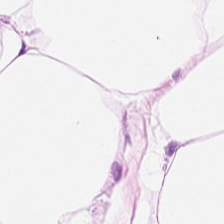Hematoxylin-and-eosin stained section — Q: What tissue is shown?
A: This is adipocytes.
